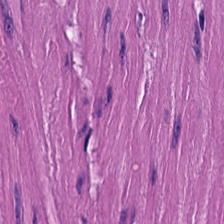The predominant tissue is muscularis.
